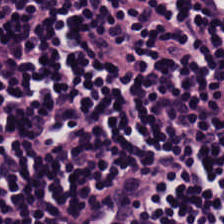Hematoxylin and eosin.
Q: What tissue is shown?
A: It is lymphoid infiltrate.
